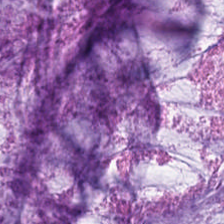H&E-stained tissue section · 224×224 px tile.
Tissue class: extracellular mucin.
